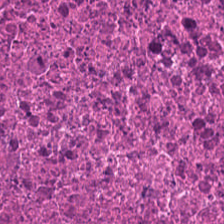Hematoxylin-and-eosin stained section — Predominant tissue — necrotic debris.
